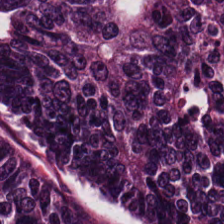0.5 microns per pixel; H&E stain; whole-slide-image patch.
Q: What does this patch show?
A: It is tumor epithelium.
